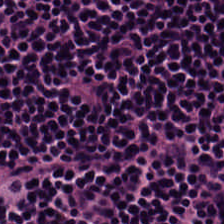H&E; FFPE — Tissue — lymphocytic infiltrate.
